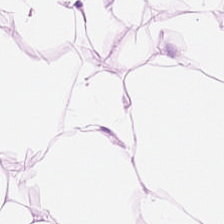H&E stain.
Q: What does this patch show?
A: This is adipose tissue.
